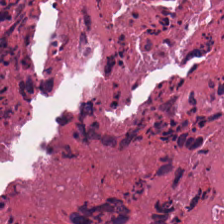Hematoxylin and eosin · 224×224 pixel tile — Tissue: cellular debris.
